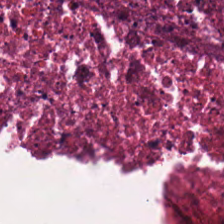Formalin-fixed paraffin-embedded section; H&E — The tissue is necrotic debris.
